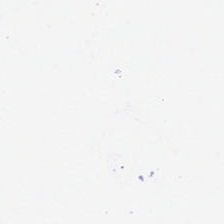H&E stain · whole-slide-image patch — Empty field — background (no tissue).
